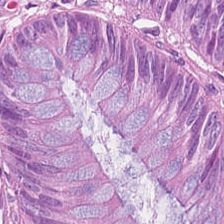FFPE. Hematoxylin-and-eosin stained section.
This field is tumor epithelium.
